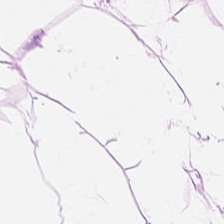0.5 microns per pixel. Brightfield microscopy. H&E stain.
Tissue type — adipose.
